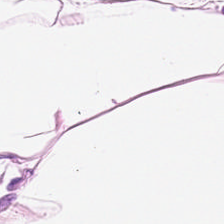Stain: H&E-stained tissue section.
Acquisition: brightfield.
Tile size: 224×224 pixel tile.
Tissue: fat tissue.
